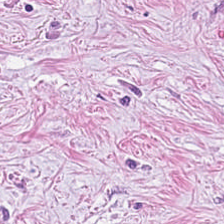H&E stain.
Histology → tumor-associated stroma.
